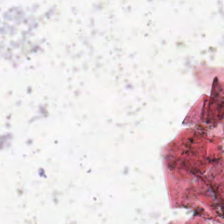Classification = background (no tissue).
